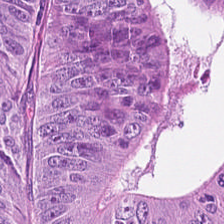224×224 px tile. Hematoxylin-and-eosin stained section.
Classification: malignant epithelium.
